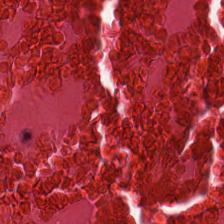Q: What tissue is shown?
A: This is cellular debris.
